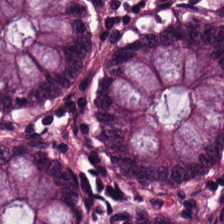Stain: H&E.
Tile size: 224×224 px tile.
Tissue type: non-neoplastic colon mucosa.
